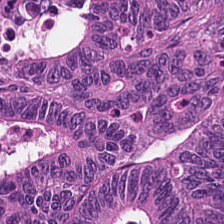Stain: hematoxylin-and-eosin stained section.
Resolution: 0.5 µm per pixel.
Classification: tumor epithelium.
